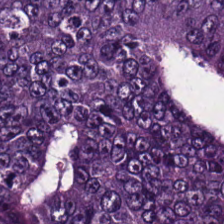Tissue type = adenocarcinoma.
